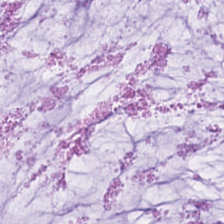Formalin-fixed paraffin-embedded section · hematoxylin and eosin — Classification: mucus.
